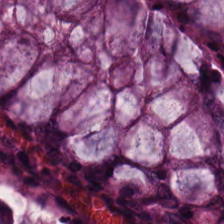H&E-stained tissue section. {"tissue_type": "benign colonic mucosa"}
